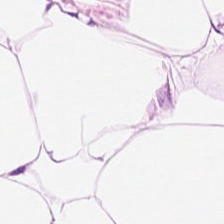Hematoxylin and eosin. Q: What tissue type is shown here?
A: This is adipose tissue.
